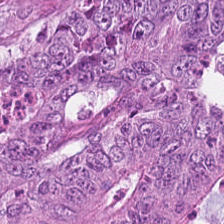Whole-slide-image patch. Hematoxylin and eosin.
Impression → tumor epithelium.
